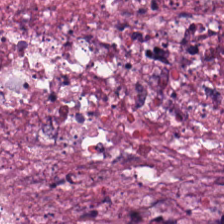Tissue = necrotic debris.
